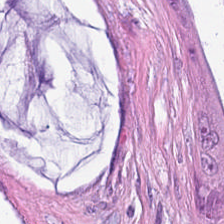H&E — Finding → mucin.
